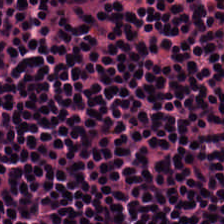H&E — Lymphocyte aggregate.
